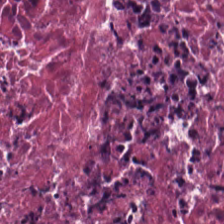H&E-stained tissue section.
Q: What tissue is shown?
A: The field shows cellular debris.
